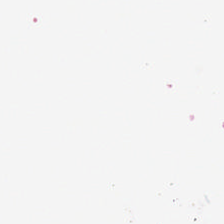Hematoxylin-and-eosin stained section. 224×224 px tile. No tissue present; background only.
